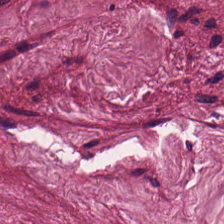224×224 px tile; H&E.
Finding — tumor stroma.
